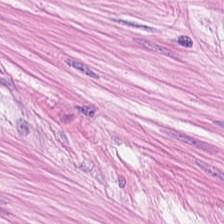Hematoxylin-and-eosin stained section — Tissue class: smooth-muscle tissue.
